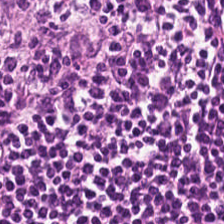Tissue = lymphocytic infiltrate.
